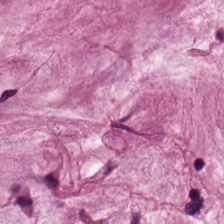H&E; FFPE. The classification is mucus.
